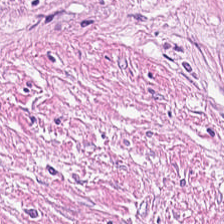Hematoxylin-and-eosin stained section.
This patch shows tumor stroma.
